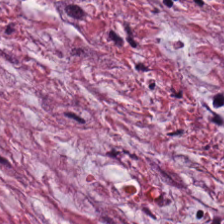Brightfield microscopy · H&E-stained tissue section — Q: Identify the tissue.
A: Cancer-associated stroma.
